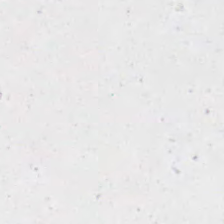H&E-stained tissue section — Impression → background.
